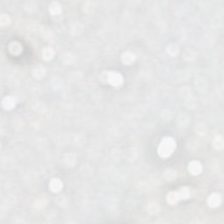This patch shows background (no tissue).
